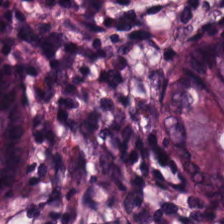Stain: H&E stain.
Tissue type: benign colonic mucosa.
